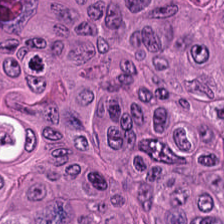H&E stain — The classification is tumor epithelium.
